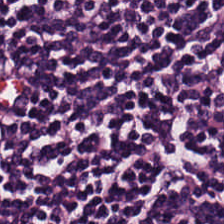H&E.
{"tissue_type": "lymphocytes"}
